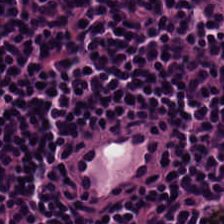Stain: H&E-stained tissue section.
Tissue type: lymphocytes.
